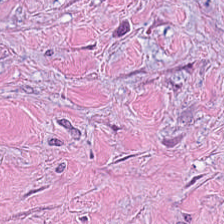This field is desmoplastic stroma.
